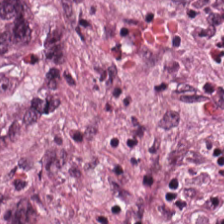H&E-stained tissue section · 20× equivalent magnification. The tissue is colorectal adenocarcinoma epithelium.
